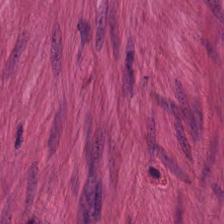H&E stain.
This patch shows muscularis.
